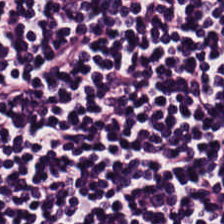H&E-stained tissue section.
Showing lymphoid infiltrate.
